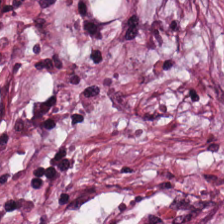Hematoxylin and eosin.
Q: Classify this patch.
A: The field shows cancer-associated stroma.
